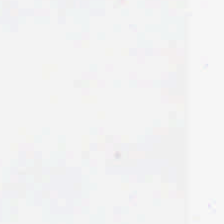Hematoxylin and eosin — Empty background.
